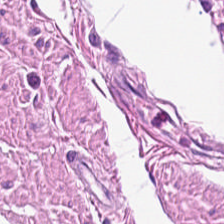The classification is muscularis.
